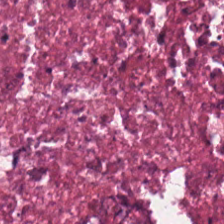Histology — cellular debris.
